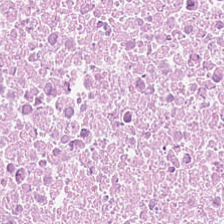H&E-stained tissue section.
The predominant tissue is cellular debris.
